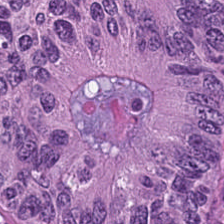224×224 pixel tile; brightfield microscopy; hematoxylin-and-eosin stained section.
Finding — malignant epithelium.
